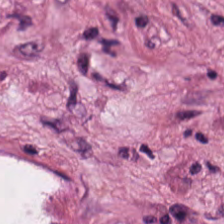Q: What is shown in this field?
A: It is tumor stroma.
